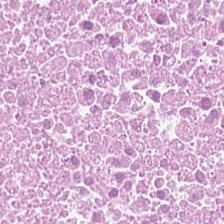H&E-stained tissue section. The tissue here is debris.
